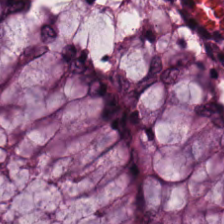0.5 µm/px. Hematoxylin and eosin. Q: What tissue is shown?
A: It is normal colonic mucosa.
